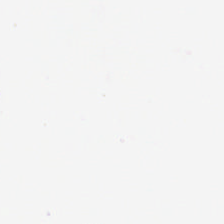FFPE; H&E. No tissue present; background only.
